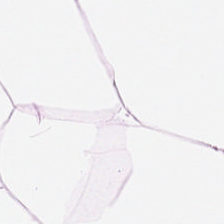Stain: hematoxylin and eosin.
Tissue: fat tissue.
